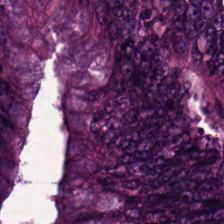Tissue — colorectal adenocarcinoma.
